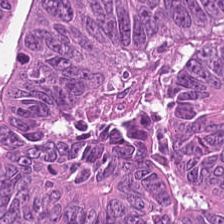Hematoxylin-and-eosin stained section. Whole-slide-image patch. FFPE. Predominant tissue — adenocarcinoma.
